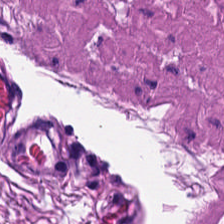224×224 pixel tile. Hematoxylin-and-eosin stained section. Formalin-fixed paraffin-embedded section. Showing smooth muscle.
